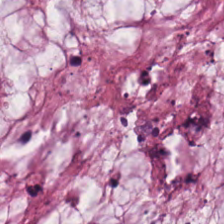Hematoxylin-and-eosin stained section — Finding — mucus.
